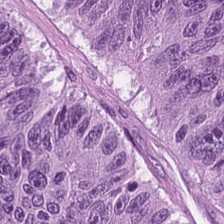Hematoxylin-and-eosin stained section. Tissue type: adenocarcinoma.
